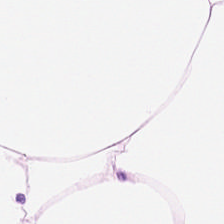Classification = fat tissue.
